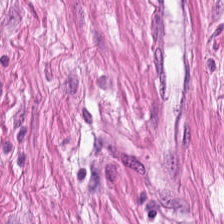Stain: hematoxylin and eosin.
Tissue: smooth muscle.
